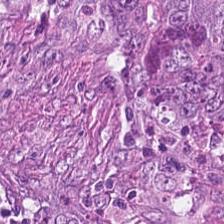H&E stain; 224×224 pixel tile; 0.5 µm per pixel — This patch shows tumor epithelium.
